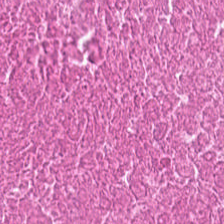The tissue here is debris.
